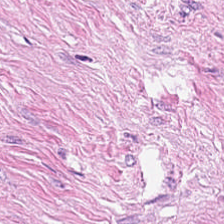WSI patch · hematoxylin-and-eosin stained section — The tissue here is tumor-associated stroma.
